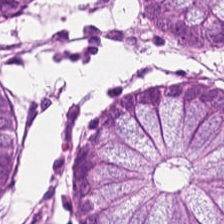224×224 px patch. H&E — Showing normal colonic mucosa.
